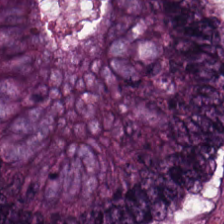224×224 pixel tile. H&E stain. {"tissue_type": "colorectal adenocarcinoma"}
